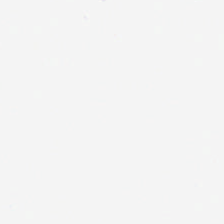Stain: H&E.
Preparation: FFPE.
Classification: no tissue.
